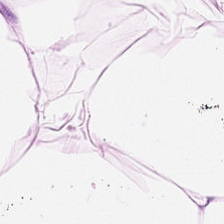Hematoxylin and eosin.
Showing adipocytes.
